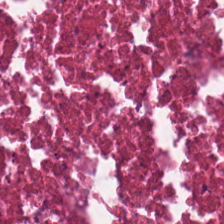Stain: hematoxylin-and-eosin stained section.
Tissue class: necrotic debris.
